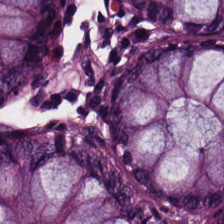Normal colonic mucosa.
